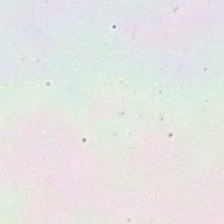Hematoxylin-and-eosin stained section — Finding — background (no tissue).
